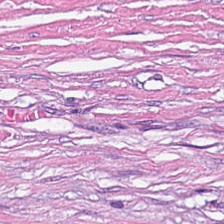Stain: hematoxylin and eosin.
Acquisition: WSI patch.
Classification: desmoplastic stroma.
